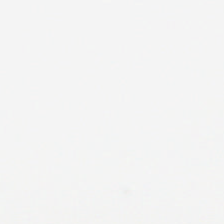H&E — Background.
